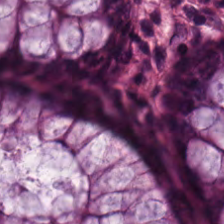Stain: H&E-stained tissue section.
Tissue type: normal colon mucosa.
